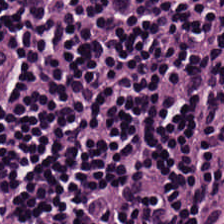Hematoxylin and eosin.
The tissue class is lymphocytes.
